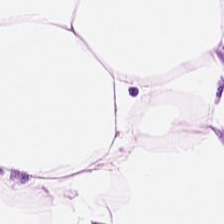H&E — The predominant tissue is adipocytes.
